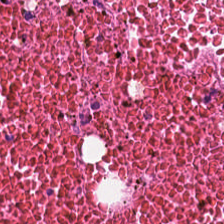H&E stain; FFPE tissue section; WSI patch. Tissue class = cellular debris.
